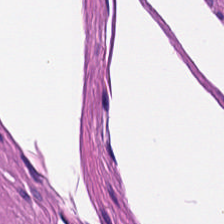Showing smooth-muscle tissue.
